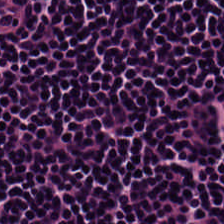Hematoxylin-and-eosin stained section.
Q: What type of tissue is this?
A: It is lymphoid infiltrate.
